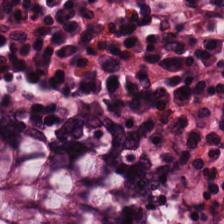224×224 px patch · hematoxylin and eosin.
Q: What tissue is shown?
A: It is normal colonic mucosa.
